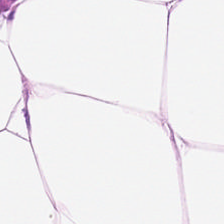H&E. Brightfield.
Adipose.
